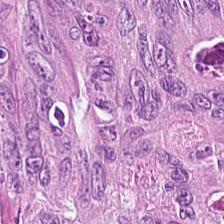Finding → colorectal adenocarcinoma.
